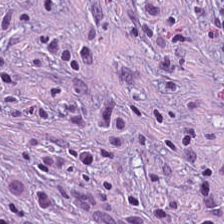Stain: hematoxylin-and-eosin stained section.
Predominant tissue: desmoplastic stroma.
